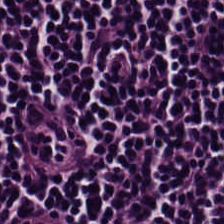Hematoxylin-and-eosin stained section. Whole-slide-image patch. 224×224 px tile.
Finding → lymphocyte aggregate.
